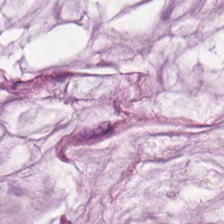H&E stain; 224×224 px patch. This patch shows mucin.
